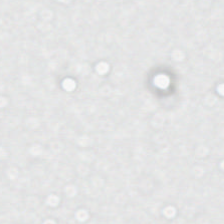FFPE tissue section; hematoxylin-and-eosin stained section.
Background (no tissue).
